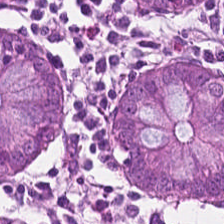Hematoxylin-and-eosin stained section. The tissue here is benign colonic mucosa.
